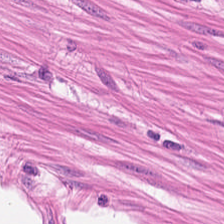Hematoxylin-and-eosin stained section. Formalin-fixed paraffin-embedded section. Whole-slide-image patch.
The predominant tissue is muscularis.
